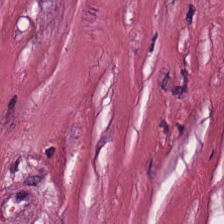Hematoxylin-and-eosin stained section; 224×224 pixel tile — This field is tumor-associated stroma.
